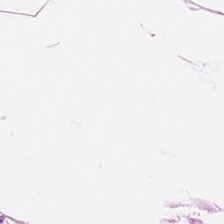Hematoxylin and eosin.
The predominant tissue is adipose.
